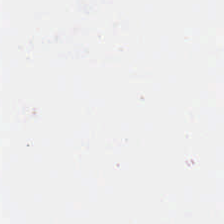Hematoxylin-and-eosin stained section.
Empty background.
